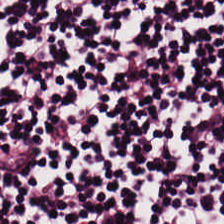Hematoxylin and eosin; whole-slide-image patch — This field is lymphocytic infiltrate.
